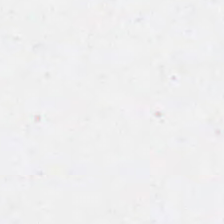Q: What is shown in this field?
A: This is no tissue.
